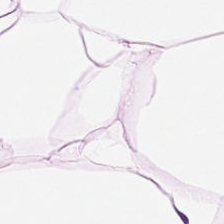Hematoxylin and eosin. This field is fat tissue.
